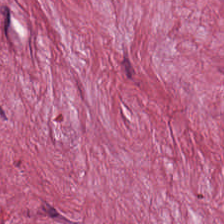Q: What tissue is shown?
A: It is tumor-associated stroma.
